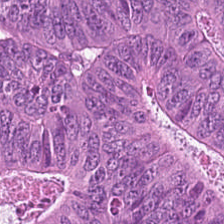Hematoxylin and eosin. Histology — adenocarcinoma.
